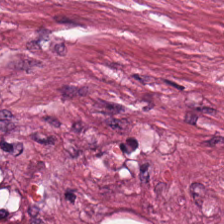224×224 px tile. 20× equivalent magnification. Hematoxylin-and-eosin stained section. Classification — debris.
